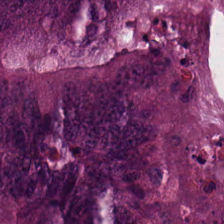The predominant tissue is colorectal adenocarcinoma epithelium.
